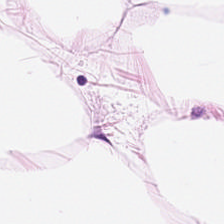H&E. WSI patch — Q: What is shown in this field?
A: This is adipose tissue.
